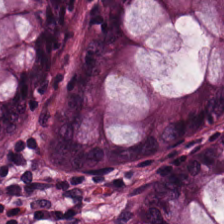H&E — {"tissue_type": "non-neoplastic colon mucosa"}
